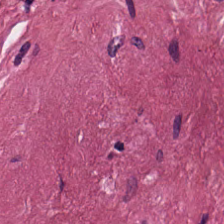20× equivalent magnification · hematoxylin and eosin · brightfield microscopy — Showing tumor-associated stroma.
